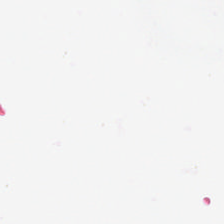H&E stain.
No tissue present; background only.
